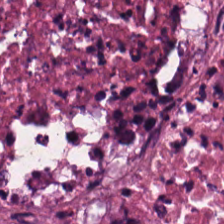224×224 px patch; H&E stain; FFPE tissue section.
The predominant tissue is necrotic debris.
